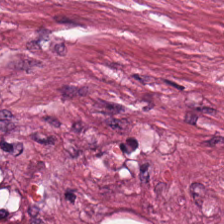Hematoxylin-and-eosin stained section. Predominant tissue: debris.
